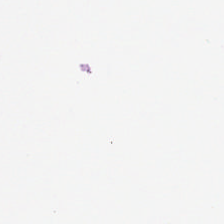224×224 pixel tile · H&E stain — Classification = background.
